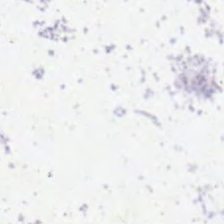WSI patch. Hematoxylin and eosin. Impression — background.
